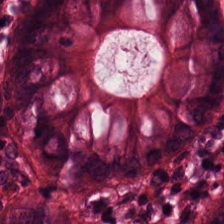Stain: hematoxylin and eosin.
Tissue: non-neoplastic colon mucosa.
